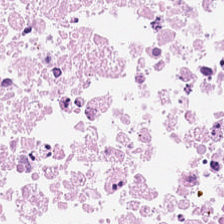H&E-stained tissue section — Tissue — necrotic debris.
